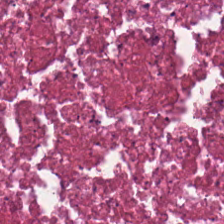H&E stain.
Tissue type = cellular debris.
